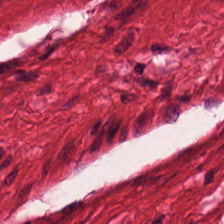H&E-stained tissue section — Q: Identify the tissue.
A: The field shows smooth muscle.
